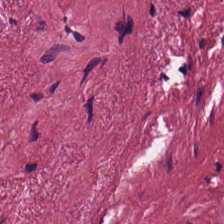H&E — Q: What does this patch show?
A: This is cancer-associated stroma.
